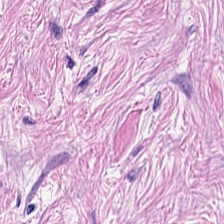Hematoxylin and eosin. Whole-slide-image patch.
Tissue class — tumor stroma.
